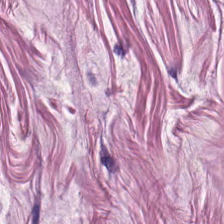Muscularis.
